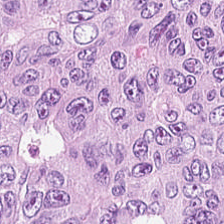Predominant tissue = tumor epithelium.
